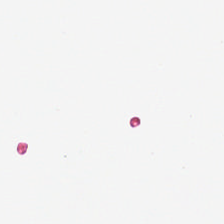Stain: hematoxylin and eosin.
Classification: no tissue.
